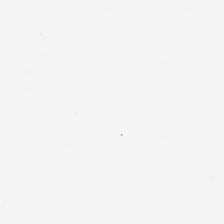Hematoxylin and eosin.
No tissue present; background only.
